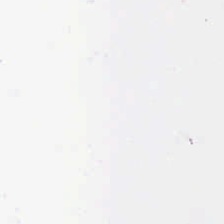H&E-stained tissue section — Impression — background.
